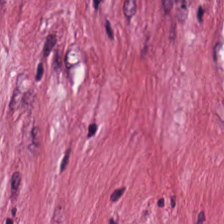0.5 microns per pixel; FFPE; H&E stain — Predominant tissue — tumor stroma.
